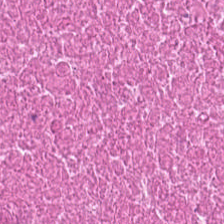H&E-stained tissue section · brightfield microscopy — This field is cellular debris.
